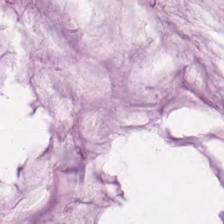Hematoxylin and eosin. Impression — mucus.
